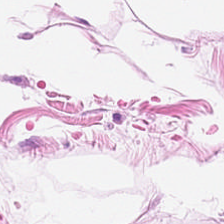H&E patch showing adipose tissue.
